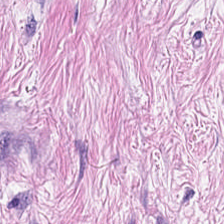H&E-stained tissue section.
Cancer-associated stroma.
